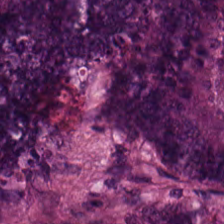Hematoxylin-and-eosin stained section.
The predominant tissue is malignant epithelium.
